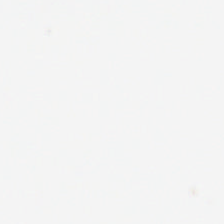H&E; 224×224 pixel tile; brightfield microscopy. Background (no tissue).
